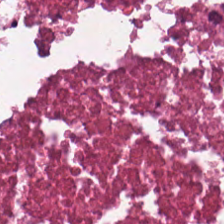Stain: H&E stain.
Tissue class: necrotic debris.
